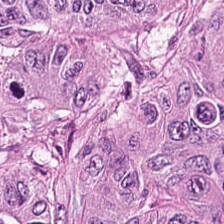Stain: H&E-stained tissue section.
Tissue: colorectal adenocarcinoma.
